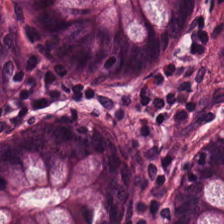Brightfield microscopy. Hematoxylin-and-eosin stained section.
This field is normal colon mucosa.
